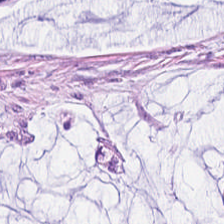H&E stain.
Predominant tissue = mucin.
